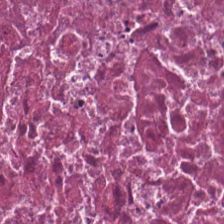H&E stain. {"tissue_type": "necrotic debris"}
